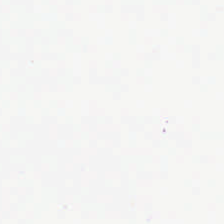Hematoxylin-and-eosin stained section — Field content — no tissue.
